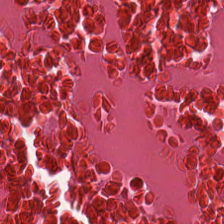Stain: hematoxylin-and-eosin stained section.
Tissue: debris.
